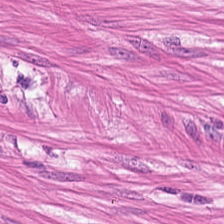224×224 pixel tile. Hematoxylin and eosin.
Tissue = smooth muscle.
